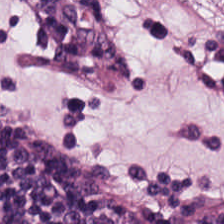FFPE · 0.5 µm/px · H&E stain — Impression — lymphocytic infiltrate.
